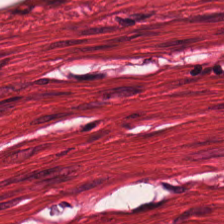224×224 px patch. Hematoxylin and eosin. Brightfield microscopy — Q: What tissue is shown?
A: It is smooth-muscle tissue.
